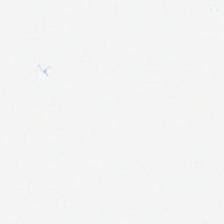0.5 microns per pixel. Hematoxylin-and-eosin stained section — No tissue.
